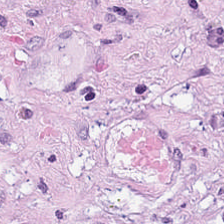Hematoxylin and eosin.
Showing desmoplastic stroma.
